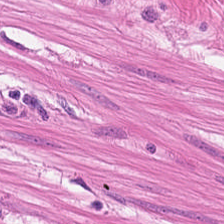H&E.
This patch shows smooth muscle.
